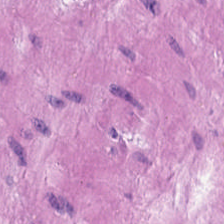H&E — Tissue: smooth muscle.
